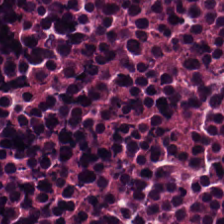Brightfield microscopy; H&E-stained tissue section — The tissue is necrotic debris.
